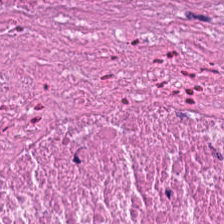Whole-slide-image patch. H&E-stained tissue section. 20× equivalent magnification.
Tissue type = debris.
